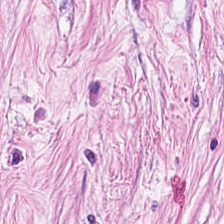Hematoxylin and eosin.
Tissue: tumor-associated stroma.
